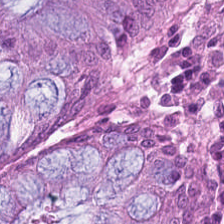Stain: hematoxylin and eosin.
Preparation: formalin-fixed paraffin-embedded section.
Predominant tissue: normal colonic mucosa.
